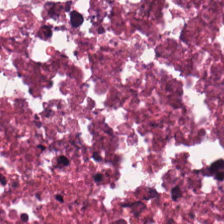Brightfield · H&E-stained tissue section.
Predominantly debris.
